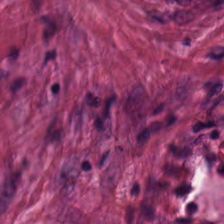Tissue class = desmoplastic stroma.
